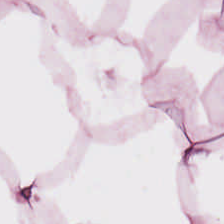Tissue: adipocytes.
